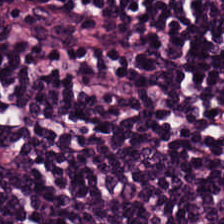Hematoxylin-and-eosin stained section — Tissue type: lymphocytes.
